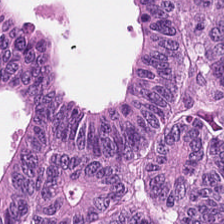0.5 microns per pixel · hematoxylin and eosin.
Tumor epithelium.
